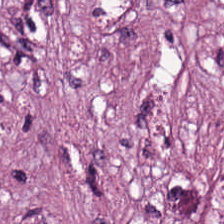{"tissue_type": "desmoplastic stroma"}
